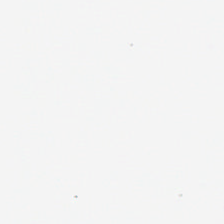Stain: hematoxylin and eosin.
Content: empty background.
